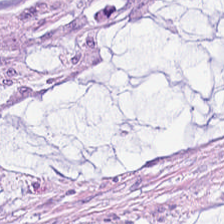Showing mucus.
